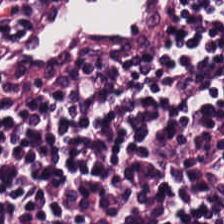H&E-stained tissue section.
The predominant tissue is lymphocytic infiltrate.
